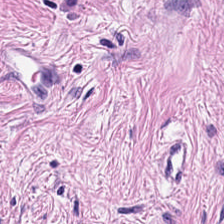Stain: hematoxylin and eosin.
Tile size: 224×224 px patch.
Tissue: tumor-associated stroma.
